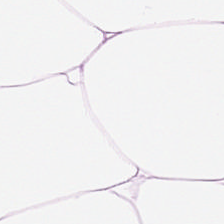Hematoxylin-and-eosin stained section. Histology → fat tissue.
